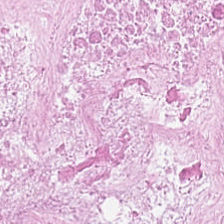Finding → necrotic debris.
